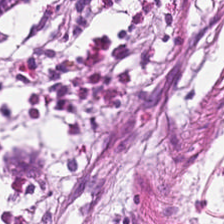Tissue type: non-neoplastic colon mucosa.
